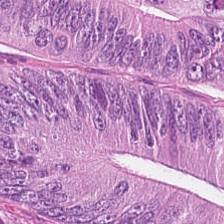Malignant epithelium.
